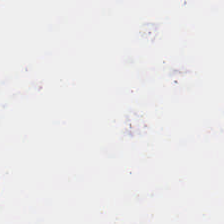H&E. Q: What is shown here?
A: Background (no tissue).
